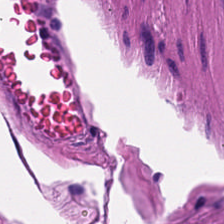Hematoxylin-and-eosin stained section · FFPE tissue section. Tissue type — smooth-muscle tissue.
